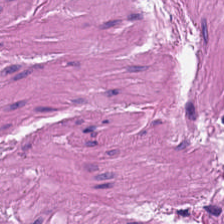Smooth muscle.
